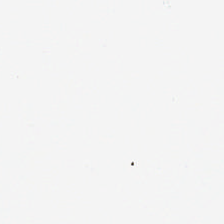H&E. 224×224 px tile. WSI patch — {"content": "background (no tissue)"}
